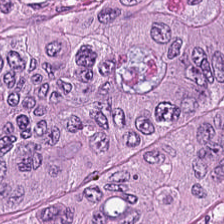0.5 microns per pixel; H&E; brightfield.
Tissue — tumor epithelium.
